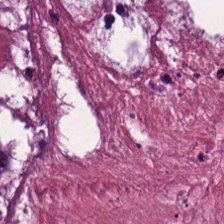H&E-stained tissue section.
Tissue type: necrotic debris.
